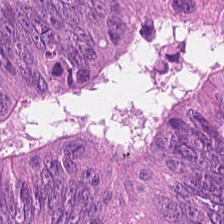Impression → tumor epithelium.
